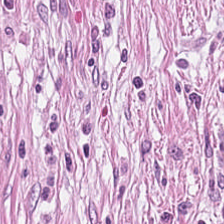{"tissue_type": "desmoplastic stroma"}
